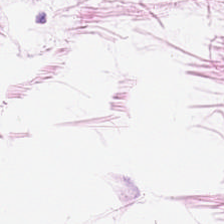Predominant tissue = fat tissue.
